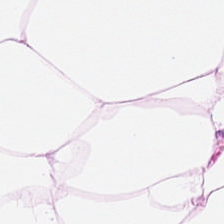This patch shows fat tissue.
